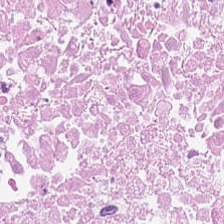H&E.
Q: What does this patch show?
A: This is debris.
